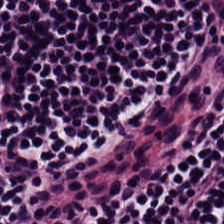Hematoxylin and eosin · 224×224 px patch.
Q: What tissue is shown?
A: Lymphocyte aggregate.
